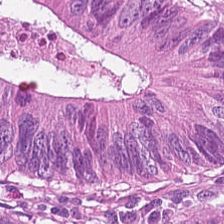Hematoxylin and eosin — Predominant tissue = colorectal adenocarcinoma epithelium.
